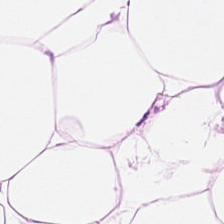Hematoxylin and eosin — Q: What is shown in this field?
A: This is adipose tissue.
